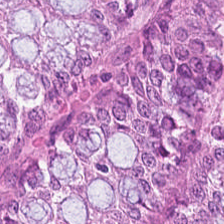0.5 µm/px · H&E stain · 224×224 px patch.
Finding — normal colon mucosa.
